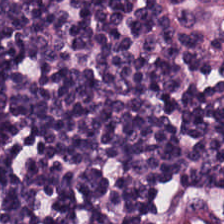Lymphocytic infiltrate.
